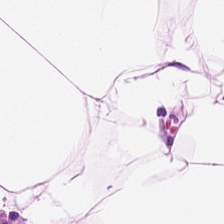The predominant tissue is fat tissue.
